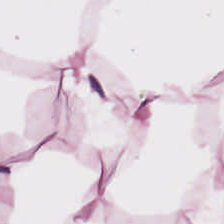224×224 px tile · H&E stain · FFPE tissue section.
The tissue here is adipose.
